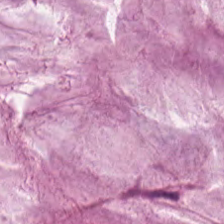0.5 µm per pixel. Hematoxylin and eosin. 224×224 pixel tile — Histology → mucus.
